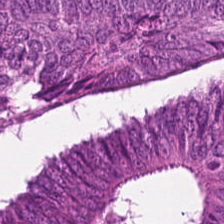Hematoxylin and eosin. Histology — colorectal adenocarcinoma.
